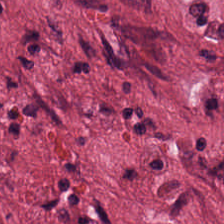H&E-stained tissue section — This patch shows desmoplastic stroma.
